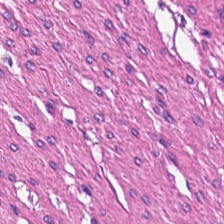H&E. Q: What tissue is shown?
A: It is smooth muscle.
